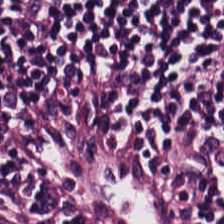Hematoxylin-and-eosin stained section; whole-slide-image patch; FFPE. Q: What type of tissue is this?
A: The field shows lymphocyte aggregate.
